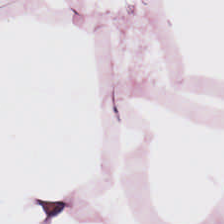Brightfield microscopy; hematoxylin and eosin. Classification — adipose tissue.
